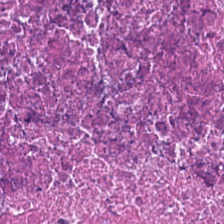Hematoxylin-and-eosin stained section. Formalin-fixed paraffin-embedded section. 0.5 microns per pixel. This patch shows necrotic debris.
